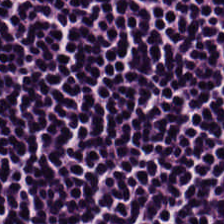Classification = lymphocytes.
